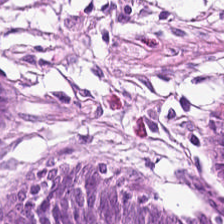Hematoxylin and eosin.
Predominant tissue = non-neoplastic colon mucosa.
